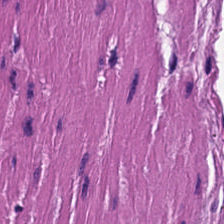Classification: smooth-muscle tissue.
